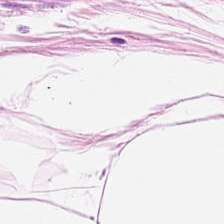Q: What tissue is shown?
A: It is adipose.
